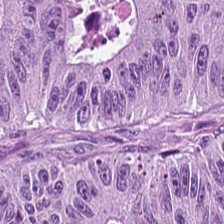0.5 µm per pixel; hematoxylin and eosin.
{"tissue_type": "adenocarcinoma"}
